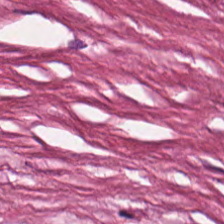Stain: H&E-stained tissue section.
Acquisition: brightfield microscopy.
Predominant tissue: cellular debris.
